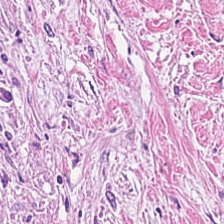H&E stain — Tissue type = cancer-associated stroma.
